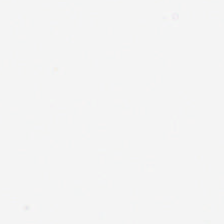Q: What does this patch show?
A: This is background.
